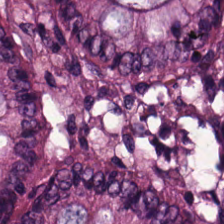Hematoxylin-and-eosin section: benign colonic mucosa.
